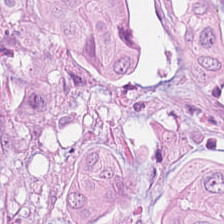Stain: H&E stain.
Tissue: tumor epithelium.
